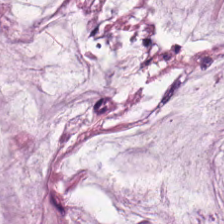Stain: H&E stain.
Tissue type: mucin.
